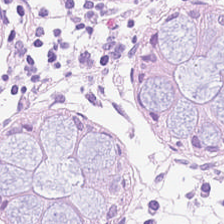Q: What is shown here?
A: The field shows normal colon mucosa.
